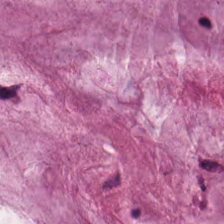Hematoxylin-and-eosin stained section. Tissue = extracellular mucin.
